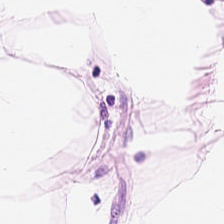H&E stain — Q: What type of tissue is this?
A: This is adipose tissue.
